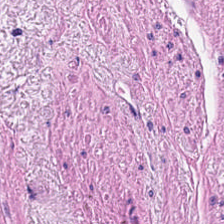Hematoxylin-and-eosin stained section.
Tissue type: smooth-muscle tissue.
